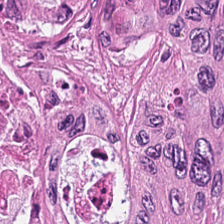0.5 µm per pixel. H&E. 224×224 px tile.
Q: What is shown in this field?
A: It is malignant epithelium.
